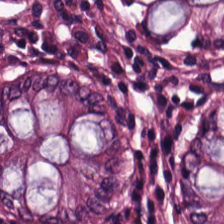Hematoxylin-and-eosin stained section.
Predominant tissue: non-neoplastic colon mucosa.
